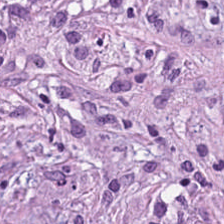H&E. Histology → cancer-associated stroma.
